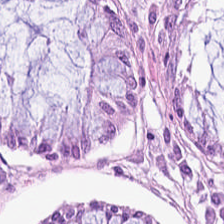0.5 µm/px; H&E. Tissue class — non-neoplastic colon mucosa.
